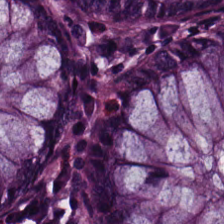224×224 pixel tile. H&E-stained tissue section. 0.5 microns per pixel.
Predominant tissue: benign colonic mucosa.
